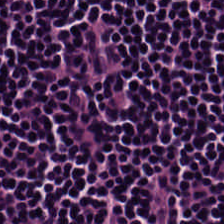H&E-stained tissue section showing lymphoid infiltrate.
